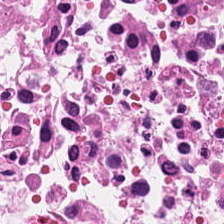224×224 pixel tile; hematoxylin and eosin.
Finding → necrotic debris.
